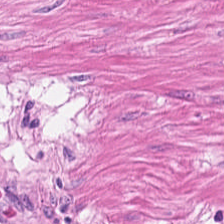Hematoxylin and eosin; WSI patch — The predominant tissue is muscularis.
